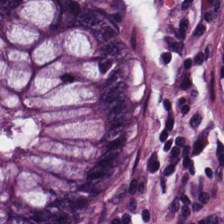This patch shows benign colonic mucosa.
